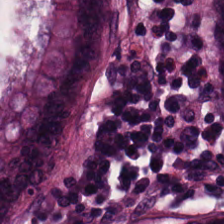Stain: H&E-stained tissue section.
Preparation: formalin-fixed paraffin-embedded section.
Tissue class: normal colonic mucosa.
